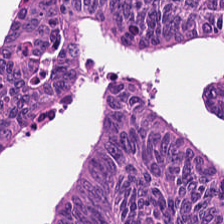Stain: hematoxylin-and-eosin stained section.
Predominant tissue: tumor epithelium.
